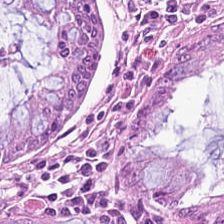H&E-stained tissue section.
The tissue class is non-neoplastic colon mucosa.
